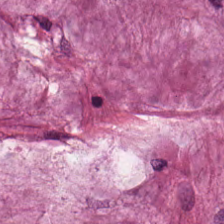224×224 px tile · H&E stain. Classification = mucin.
